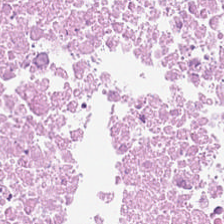Stain: H&E stain.
Classification: cellular debris.
